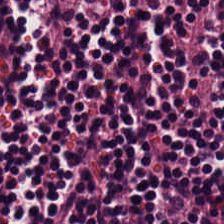Tissue type — lymphocyte aggregate.
